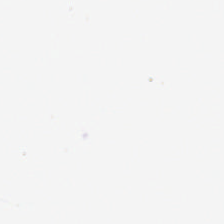H&E stain — Field content: no tissue.
